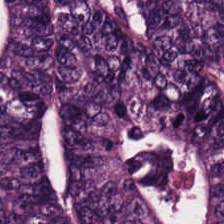Brightfield · hematoxylin and eosin — {"tissue_type": "malignant epithelium"}
